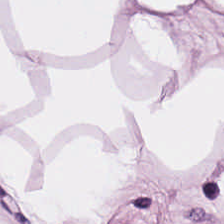H&E · brightfield microscopy.
Showing adipose.
